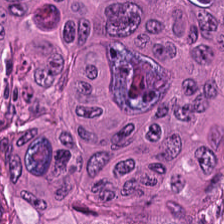Hematoxylin and eosin; FFPE.
Histology — adenocarcinoma.
